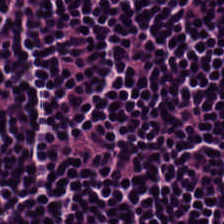H&E stain. 0.5 µm per pixel — Tissue type = lymphoid infiltrate.
